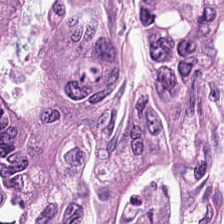Hematoxylin and eosin. 224×224 px patch — The tissue here is malignant epithelium.
